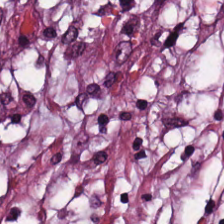H&E; 0.5 µm per pixel — Tissue type: desmoplastic stroma.
